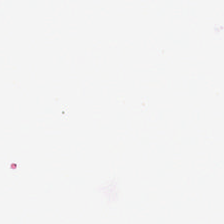Hematoxylin and eosin — Q: What is shown here?
A: The field shows background (no tissue).
